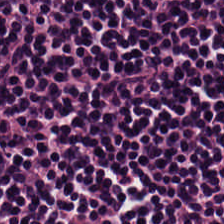The tissue is lymphocytes.
